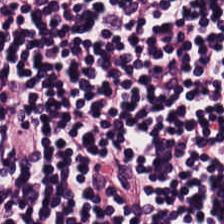H&E stain.
The tissue here is lymphocytic infiltrate.
